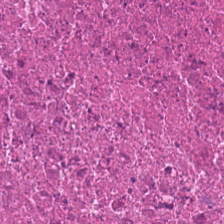FFPE tissue section · H&E stain · brightfield. Predominantly cellular debris.
